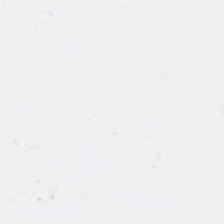H&E stain. {"content": "empty background"}
